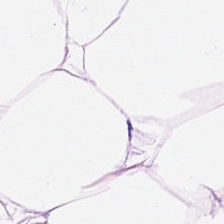H&E stain.
Q: What type of tissue is this?
A: It is fat tissue.
